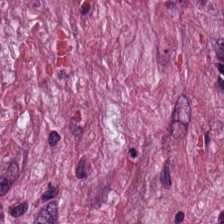H&E stain; 20× equivalent magnification; formalin-fixed paraffin-embedded section — This patch shows cancer-associated stroma.
